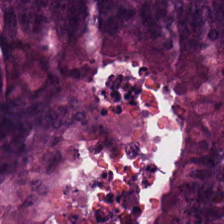{"tissue_type": "colorectal adenocarcinoma"}
